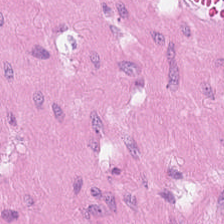Formalin-fixed paraffin-embedded section; H&E stain. The classification is smooth muscle.
